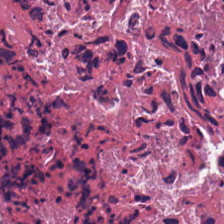H&E. FFPE tissue section. Cellular debris.
